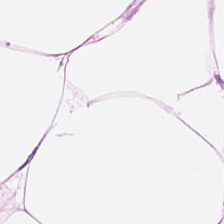H&E.
Tissue class: fat tissue.
